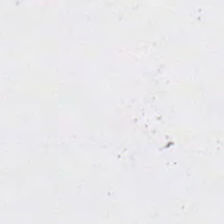0.5 µm/px; H&E stain. No tissue present; background only.
